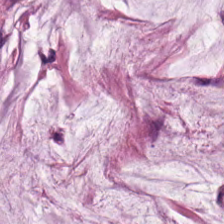Hematoxylin-and-eosin stained section · brightfield. Tissue class — mucus.
